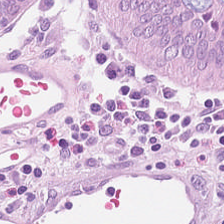Q: What is shown in this field?
A: It is normal colonic mucosa.
